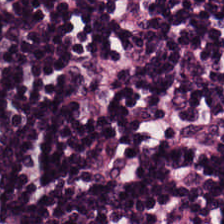Q: Classify this patch.
A: It is lymphocyte aggregate.
